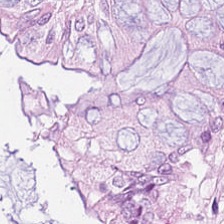Hematoxylin-and-eosin stained section — Tissue class = benign colonic mucosa.
